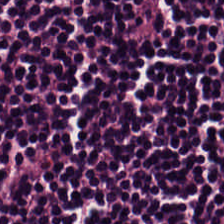FFPE; 224×224 pixel tile; H&E. This patch shows lymphocyte aggregate.
